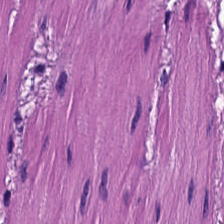Stain: H&E-stained tissue section.
Resolution: 0.5 microns per pixel.
Classification: muscularis.
